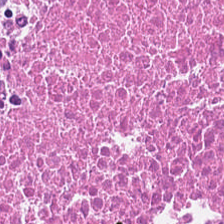WSI patch. Hematoxylin-and-eosin stained section. 0.5 microns per pixel.
Predominant tissue — cellular debris.
